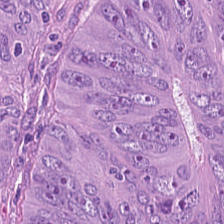Tissue type — colorectal adenocarcinoma epithelium.
